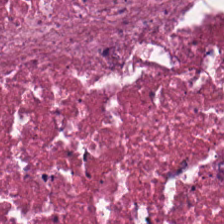0.5 microns per pixel · brightfield · H&E — Classification = cellular debris.
